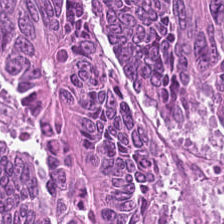Hematoxylin and eosin. Q: What does this patch show?
A: This is colorectal adenocarcinoma.
